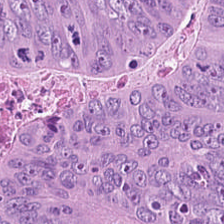FFPE tissue section · H&E — Showing colorectal adenocarcinoma.
